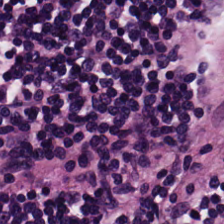FFPE · hematoxylin-and-eosin stained section.
The tissue here is lymphocytes.
